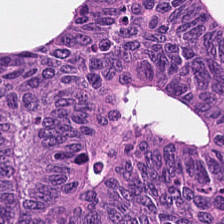20× equivalent magnification · H&E stain · WSI patch — Histology — malignant epithelium.
